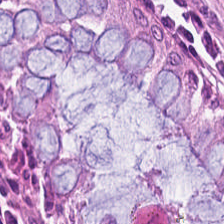Hematoxylin-and-eosin stained section; 0.5 µm/px.
Impression — normal colon mucosa.
